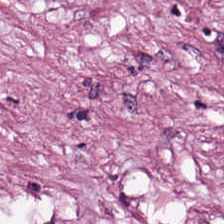20× equivalent magnification; hematoxylin-and-eosin stained section; 224×224 pixel tile. Predominant tissue: cancer-associated stroma.
